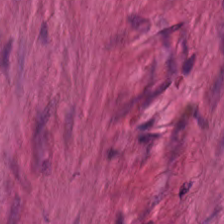224×224 px tile; hematoxylin-and-eosin stained section; formalin-fixed paraffin-embedded section. This field is smooth-muscle tissue.
